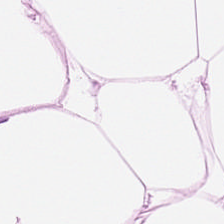0.5 microns per pixel. Brightfield microscopy. Hematoxylin-and-eosin stained section.
Tissue class: adipocytes.
